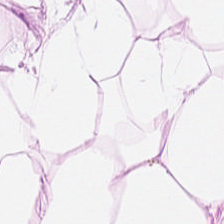H&E. Q: What tissue is shown?
A: Adipocytes.
